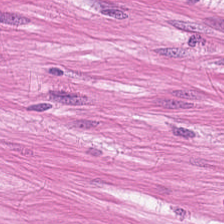The tissue class is smooth muscle.
